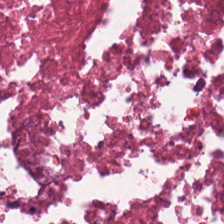Hematoxylin-and-eosin section: cellular debris.
